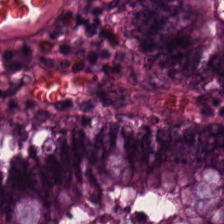Stain: H&E.
Tissue type: benign colonic mucosa.
